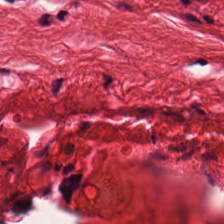Stain: H&E.
Predominant tissue: smooth muscle.
